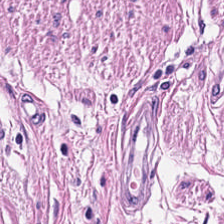Stain: H&E stain.
Tissue class: smooth-muscle tissue.
